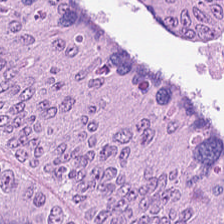224×224 pixel tile. H&E stain — {"tissue_type": "colorectal adenocarcinoma epithelium"}
